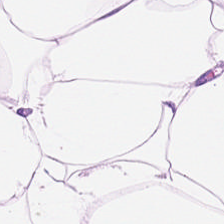H&E; 0.5 microns per pixel — Fat tissue.
